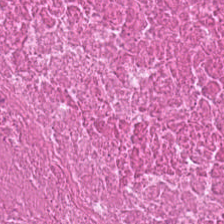Hematoxylin and eosin. {"tissue_type": "debris"}
